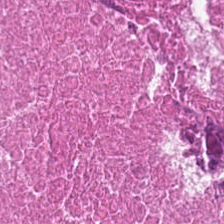FFPE · hematoxylin and eosin — The predominant tissue is necrotic debris.
